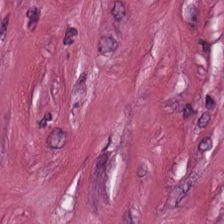The predominant tissue is tumor-associated stroma.
